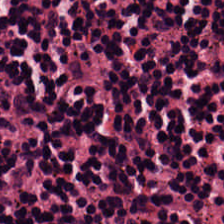H&E stain; WSI patch — This patch shows lymphoid infiltrate.
